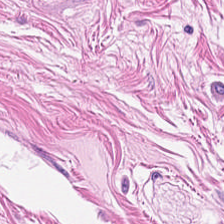Hematoxylin-and-eosin stained section.
Predominant tissue = smooth muscle.
